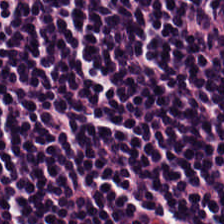H&E stain — Impression — lymphocytes.
